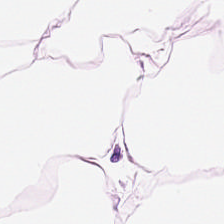Hematoxylin-and-eosin stained section.
Impression — fat tissue.
